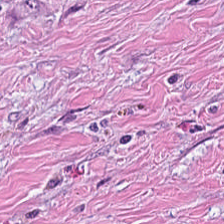H&E stain; 0.5 microns per pixel; whole-slide-image patch — Classification — tumor-associated stroma.
